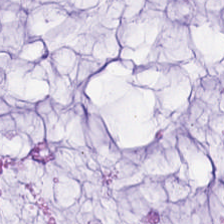Formalin-fixed paraffin-embedded section. Whole-slide-image patch. Hematoxylin and eosin. This patch shows mucin.
